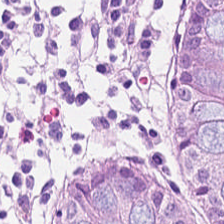H&E-stained tissue section — Classification — normal colon mucosa.
